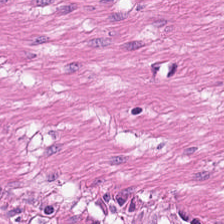Stain: H&E stain.
Tissue: smooth muscle.
